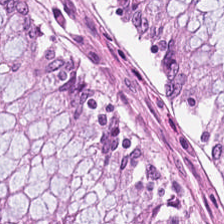Predominant tissue — benign colonic mucosa.
